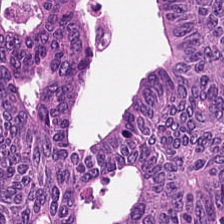Hematoxylin-and-eosin section: colorectal adenocarcinoma epithelium.
